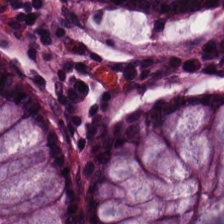Finding → normal colon mucosa.
